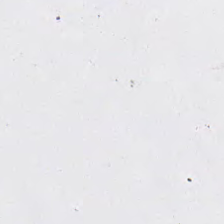Q: What is shown here?
A: The field shows background.
